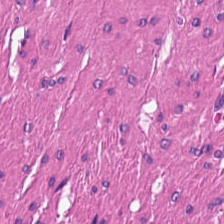Predominant tissue — muscularis.
